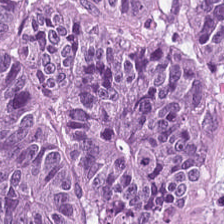H&E stain.
The predominant tissue is adenocarcinoma.
